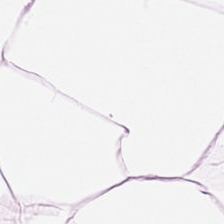Hematoxylin-and-eosin stained section — Q: Classify this patch.
A: It is adipocytes.
